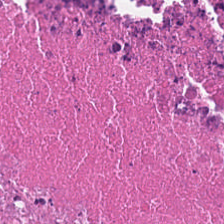Stain: hematoxylin-and-eosin stained section.
Predominant tissue: cellular debris.
